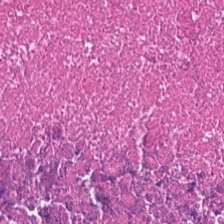Predominantly cellular debris.
